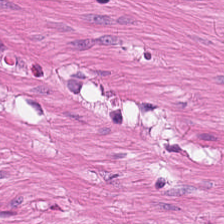Hematoxylin and eosin.
Impression — smooth-muscle tissue.
